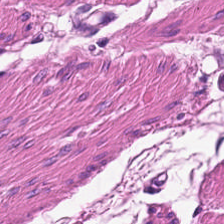Hematoxylin and eosin · 224×224 pixel tile — Tissue type: muscularis.
